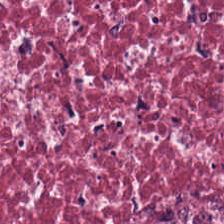0.5 µm/px · hematoxylin and eosin. {"tissue_type": "desmoplastic stroma"}
